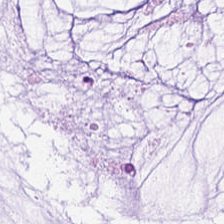Whole-slide-image patch. 224×224 pixel tile. H&E stain.
Q: What does this patch show?
A: The field shows mucus.
